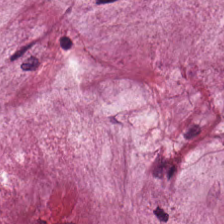Stain: hematoxylin and eosin.
Resolution: 20× equivalent magnification.
Acquisition: whole-slide-image patch.
Tissue: mucin.
